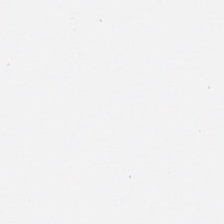H&E. Background — no tissue in this field.
